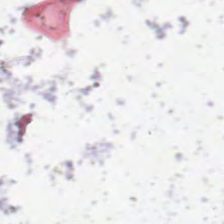224×224 pixel tile. Formalin-fixed paraffin-embedded section. H&E. This patch shows background.
